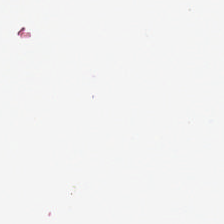This field is background (no tissue).
